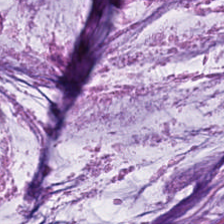Q: What is shown in this field?
A: Mucin.
